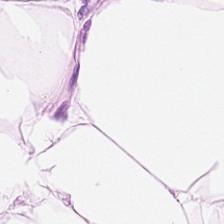224×224 pixel tile · hematoxylin-and-eosin stained section — Impression → adipose.
